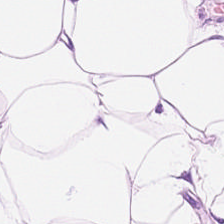H&E-stained tissue section. Classification = adipocytes.
